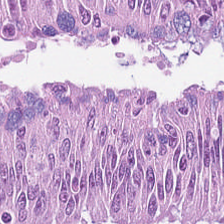20× equivalent magnification · hematoxylin-and-eosin stained section.
Predominantly adenocarcinoma.
